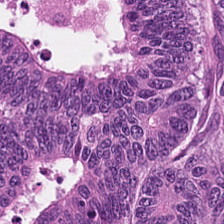FFPE · H&E · WSI patch. This field is adenocarcinoma.
